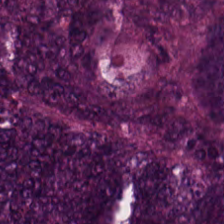Hematoxylin and eosin.
This field is colorectal adenocarcinoma epithelium.
